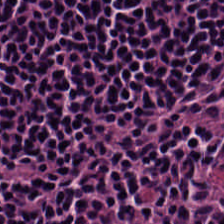H&E-stained tissue section.
Predominantly lymphocytic infiltrate.
